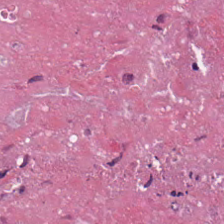Hematoxylin and eosin. Finding → cellular debris.
